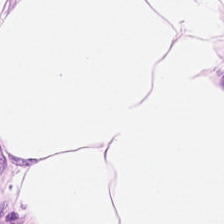Stain: hematoxylin and eosin.
Classification: adipose tissue.
